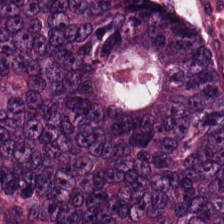The tissue here is malignant epithelium.
